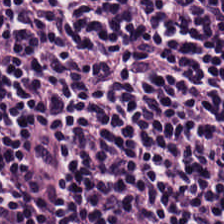Tissue type = lymphocytic infiltrate.
